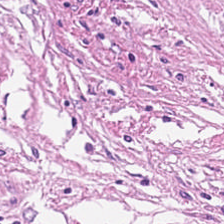This field is desmoplastic stroma.
